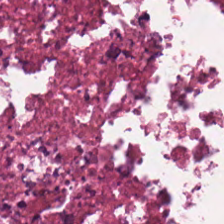Stain: hematoxylin and eosin.
Tissue: cellular debris.
